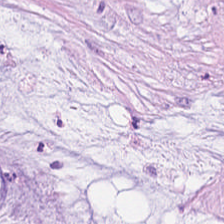Stain: H&E stain.
Tissue type: mucin.
